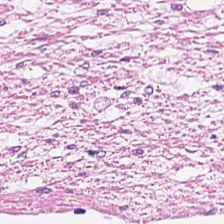H&E-stained tissue section. 0.5 microns per pixel. Finding — muscularis.
